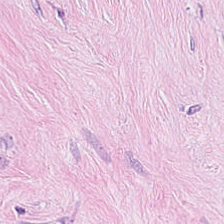H&E stain — Q: What is the predominant tissue type?
A: This is desmoplastic stroma.
